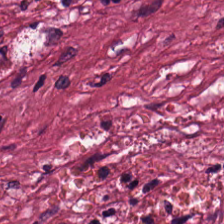Hematoxylin and eosin — Showing cancer-associated stroma.
